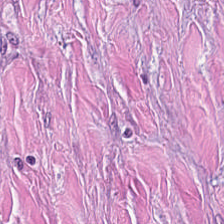Predominant tissue = tumor-associated stroma.
